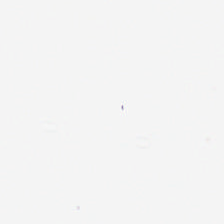Hematoxylin and eosin.
Field content = background (no tissue).
